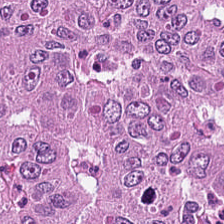Predominantly malignant epithelium.
